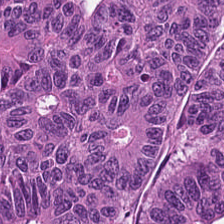Whole-slide-image patch; hematoxylin-and-eosin stained section; 224×224 pixel tile. Tissue type: tumor epithelium.
